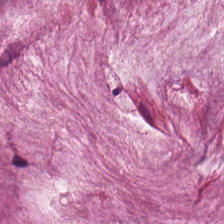H&E stain · FFPE tissue section.
This patch shows extracellular mucin.
